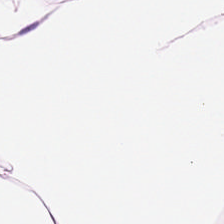224×224 pixel tile; WSI patch; hematoxylin-and-eosin stained section — Finding → adipose tissue.
